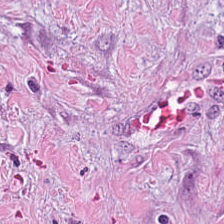Classification = tumor stroma.
